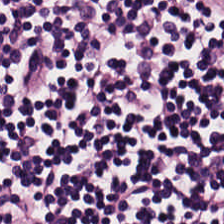Formalin-fixed paraffin-embedded section · H&E stain.
{"tissue_type": "lymphocytes"}
